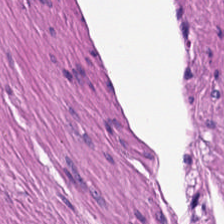H&E stain; FFPE.
Classification = smooth muscle.
